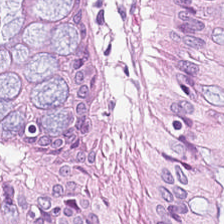H&E-stained section; the field shows non-neoplastic colon mucosa.
